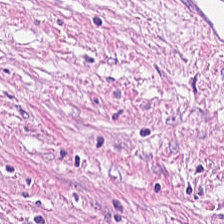The tissue type is cancer-associated stroma.
